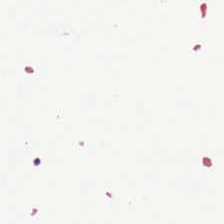Impression → background.
